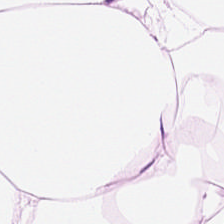H&E.
Adipocytes.
